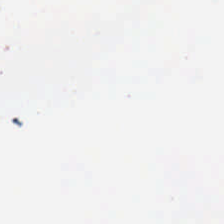FFPE tissue section; 224×224 px patch; H&E-stained tissue section — Histology → empty background.
